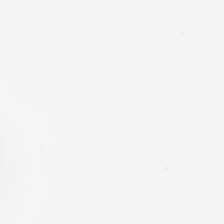H&E.
Finding — background (no tissue).
